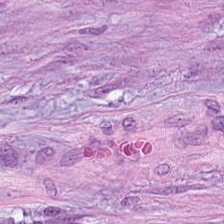The tissue here is tumor stroma.
